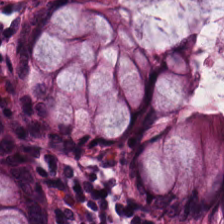H&E-stained section; the field shows non-neoplastic colon mucosa.
